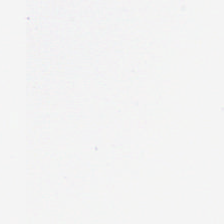FFPE tissue section; H&E-stained tissue section. Field content — background.
